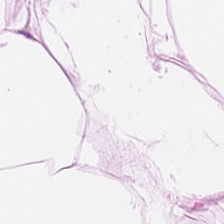Stain: H&E-stained tissue section.
Preparation: FFPE tissue section.
Acquisition: brightfield.
Tissue: adipocytes.
